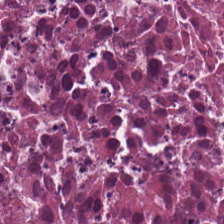Hematoxylin-and-eosin stained section; 0.5 microns per pixel — The predominant tissue is necrotic debris.
